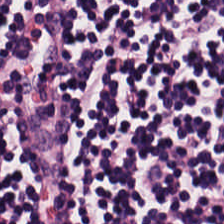H&E. 224×224 pixel tile. FFPE.
{"tissue_type": "lymphocytic infiltrate"}
